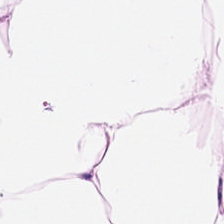H&E-stained tissue section — Predominant tissue — adipocytes.
